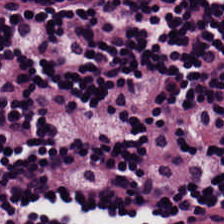H&E. This field is lymphocytes.
